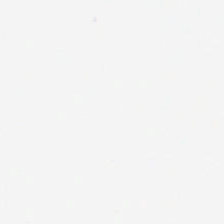Hematoxylin and eosin. Field content: no tissue.
